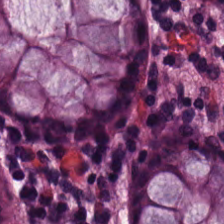Stain: hematoxylin and eosin.
Tissue: normal colon mucosa.
